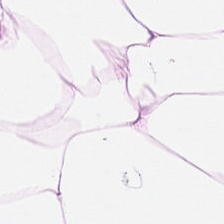Q: What type of tissue is this?
A: The field shows adipocytes.
